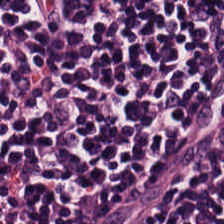H&E-stained tissue section · 224×224 pixel tile — Q: What does this patch show?
A: Lymphocytes.
